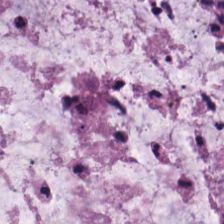H&E-stained tissue section.
The predominant tissue is extracellular mucin.
